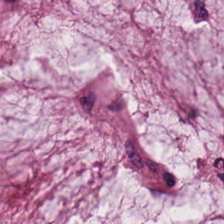H&E — Q: What does this patch show?
A: This is mucin.
